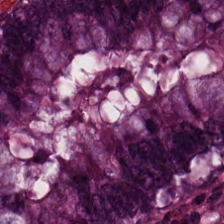Q: Classify this patch.
A: Normal colonic mucosa.
